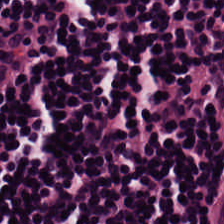Q: What type of tissue is this?
A: Lymphocytes.
